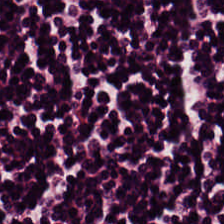Hematoxylin and eosin.
Predominantly lymphocyte aggregate.
